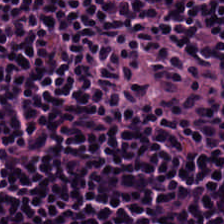H&E stain · formalin-fixed paraffin-embedded section · 224×224 px tile. The predominant tissue is lymphocyte aggregate.
